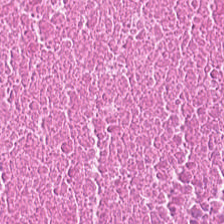224×224 px patch; H&E stain; formalin-fixed paraffin-embedded section.
Q: What is shown here?
A: The field shows necrotic debris.
